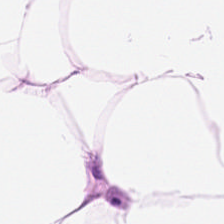Histology — adipose.
